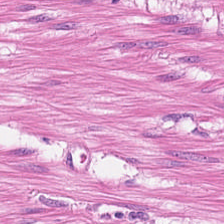H&E-stained tissue section.
The tissue type is smooth-muscle tissue.
